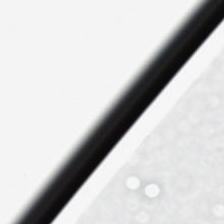Hematoxylin and eosin; brightfield microscopy — Q: What does this patch show?
A: The field shows no tissue.
